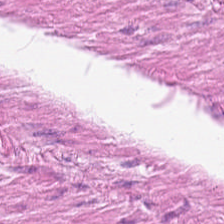H&E — Tissue type = smooth muscle.
